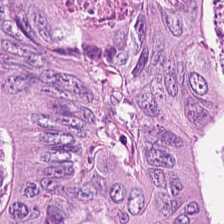H&E stain; brightfield microscopy; 0.5 µm per pixel. Showing colorectal adenocarcinoma epithelium.
